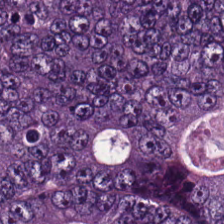Hematoxylin and eosin. 20× equivalent magnification — Tissue type: tumor epithelium.
